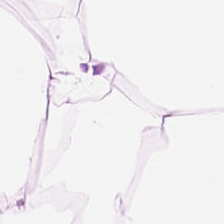Stain: hematoxylin and eosin.
Predominant tissue: adipocytes.
